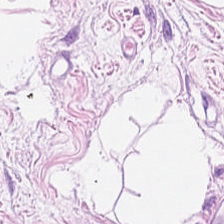FFPE tissue section; H&E.
The tissue here is adipocytes.
